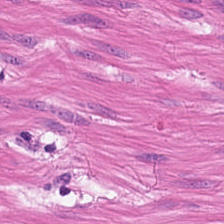H&E-stained tissue section.
{"tissue_type": "smooth-muscle tissue"}
